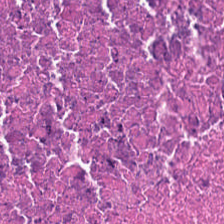H&E. Q: Classify this patch.
A: It is debris.
